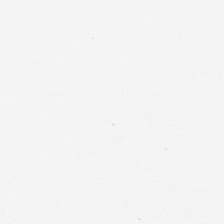FFPE tissue section · hematoxylin and eosin · 224×224 px patch. Background.
